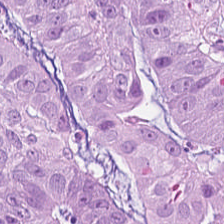H&E-stained tissue section. WSI patch — Predominantly colorectal adenocarcinoma epithelium.
